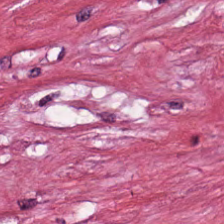Hematoxylin-and-eosin stained section — Tissue — tumor stroma.
